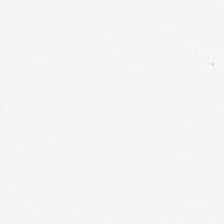Classification: background (no tissue).
